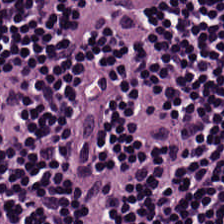Stain: hematoxylin and eosin.
Preparation: formalin-fixed paraffin-embedded section.
Classification: lymphoid infiltrate.
